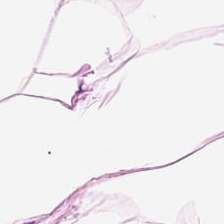H&E stain · 0.5 microns per pixel — Tissue type: fat tissue.
